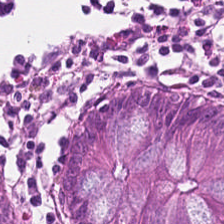Stain: hematoxylin-and-eosin stained section.
Resolution: 20× equivalent magnification.
Classification: benign colonic mucosa.
